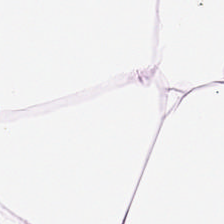224×224 px tile · H&E.
Tissue type = adipose.
